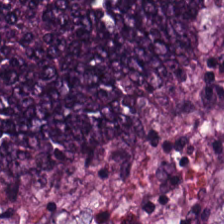Classification: adenocarcinoma.
